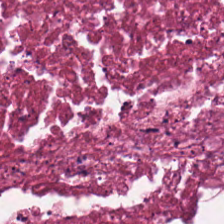WSI patch. Formalin-fixed paraffin-embedded section. Hematoxylin-and-eosin stained section.
Tissue class: cellular debris.
